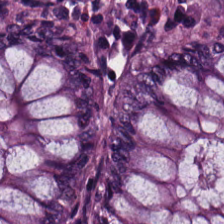Hematoxylin and eosin. 0.5 microns per pixel — Q: Classify this patch.
A: The field shows normal colonic mucosa.
